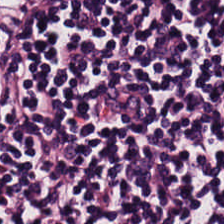Stain: hematoxylin and eosin.
Tissue: lymphocyte aggregate.
